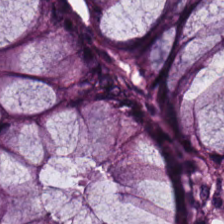FFPE · H&E-stained tissue section — Benign colonic mucosa.
